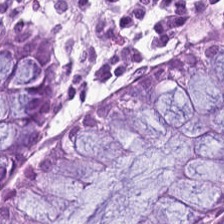H&E.
The predominant tissue is normal colon mucosa.
